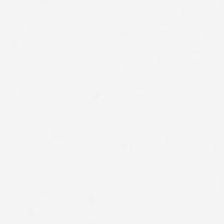Q: What is shown here?
A: It is background (no tissue).
